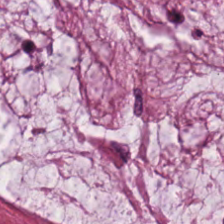224×224 pixel tile · hematoxylin-and-eosin stained section.
Showing extracellular mucin.
